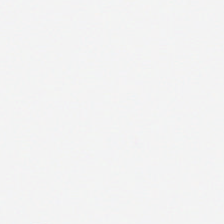FFPE tissue section · brightfield · hematoxylin-and-eosin stained section — Background — no tissue in this field.
